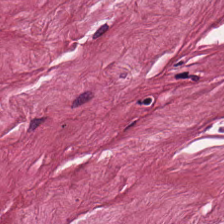Brightfield; H&E-stained tissue section — {"tissue_type": "tumor-associated stroma"}
